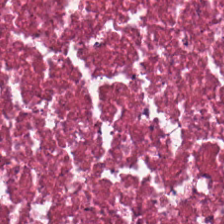H&E stain — Impression — necrotic debris.
